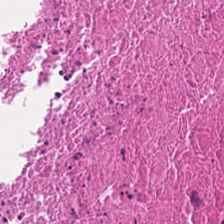Hematoxylin-and-eosin stained section.
The tissue class is necrotic debris.
